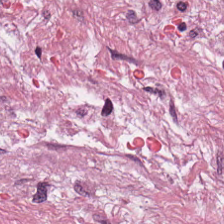Finding → desmoplastic stroma.
